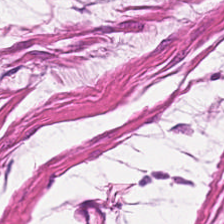0.5 microns per pixel; H&E stain; formalin-fixed paraffin-embedded section.
Tissue: muscularis.
